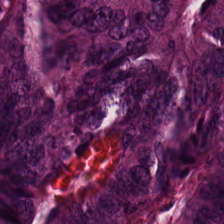FFPE tissue section. H&E — This patch shows malignant epithelium.
